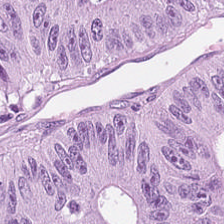Impression — tumor epithelium.
